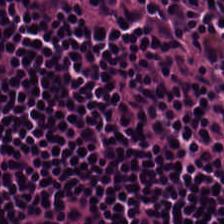Hematoxylin-and-eosin stained section; brightfield.
Q: What is shown in this field?
A: This is lymphocytic infiltrate.
